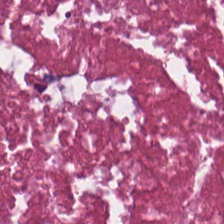Hematoxylin and eosin. The tissue here is cellular debris.
